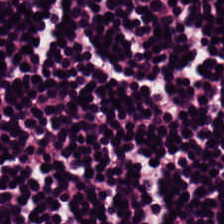Hematoxylin and eosin — The predominant tissue is lymphocytes.
